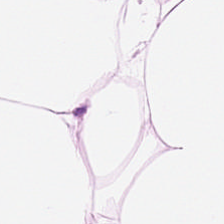0.5 microns per pixel; hematoxylin and eosin. This field is adipose.
